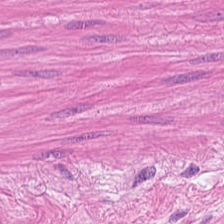Brightfield microscopy · H&E · FFPE tissue section. The tissue here is muscularis.
